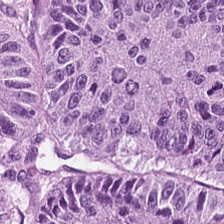Tissue type: colorectal adenocarcinoma epithelium.
